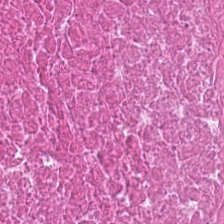H&E-stained tissue section; 0.5 µm/px. {"tissue_type": "cellular debris"}
